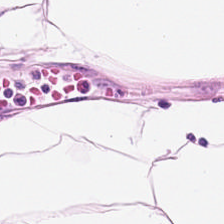Hematoxylin-and-eosin stained section · 224×224 px patch · 0.5 µm per pixel — The tissue is fat tissue.
